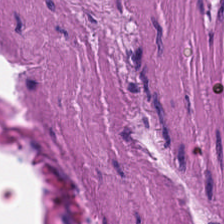H&E-stained tissue section. The classification is muscularis.
